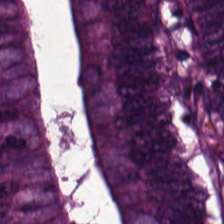H&E · 0.5 µm/px · 224×224 px tile — The predominant tissue is colorectal adenocarcinoma.
